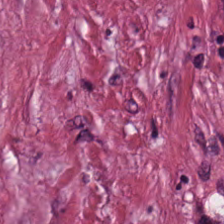H&E-stained tissue section.
Impression → cancer-associated stroma.
